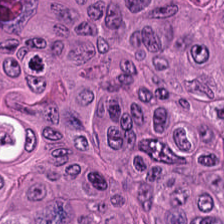Hematoxylin and eosin.
This patch shows colorectal adenocarcinoma.
